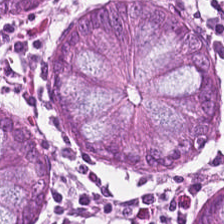FFPE tissue section · H&E — Q: What tissue type is shown here?
A: The field shows non-neoplastic colon mucosa.
